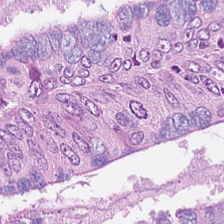Predominantly malignant epithelium.
